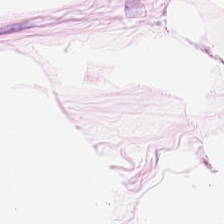H&E-stained tissue section — Impression → adipose.
